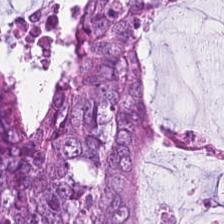H&E-stained tissue section. Tissue type = tumor epithelium.
